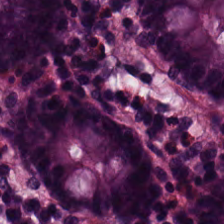WSI patch; hematoxylin and eosin; 0.5 microns per pixel — Q: What tissue is shown?
A: It is normal colonic mucosa.
